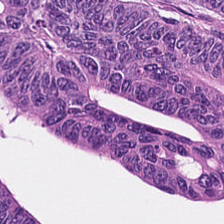FFPE tissue section. Hematoxylin and eosin. Whole-slide-image patch. The tissue is colorectal adenocarcinoma.
